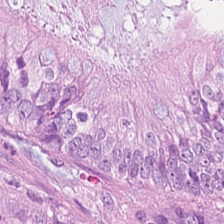Tissue — colorectal adenocarcinoma epithelium.
